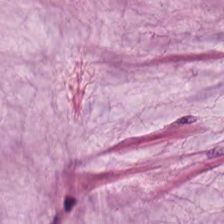224×224 px tile. Hematoxylin-and-eosin stained section — Q: What tissue type is shown here?
A: Mucin.
